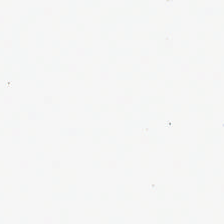H&E-stained tissue section. Formalin-fixed paraffin-embedded section.
This field is background (no tissue).
